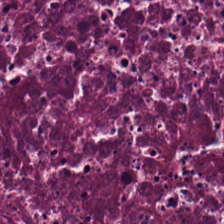H&E stain — Predominantly debris.
